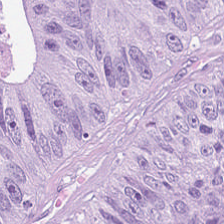Stain: hematoxylin-and-eosin stained section.
Tissue class: adenocarcinoma.
